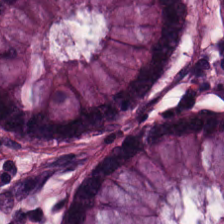WSI patch. H&E. Tissue: normal colon mucosa.
